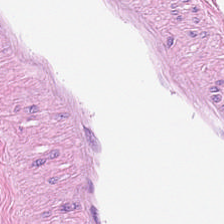H&E-stained tissue section — The tissue type is adipocytes.
